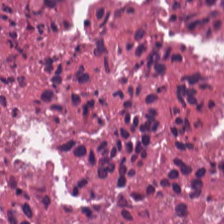Brightfield · H&E-stained tissue section · FFPE. This patch shows debris.
